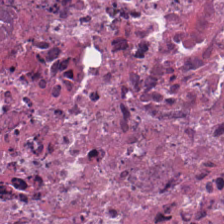224×224 px tile; FFPE tissue section; hematoxylin and eosin.
Classification: debris.
